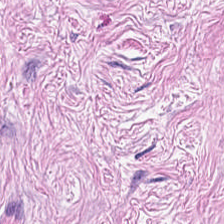224×224 pixel tile · hematoxylin-and-eosin stained section — Q: What tissue type is shown here?
A: Tumor-associated stroma.
